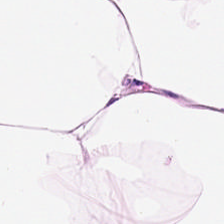Stain: H&E.
Classification: adipose tissue.
